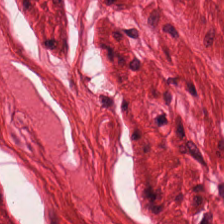224×224 pixel tile · hematoxylin-and-eosin stained section.
Predominantly smooth-muscle tissue.
